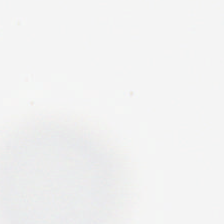Hematoxylin and eosin. {"content": "background (no tissue)"}
